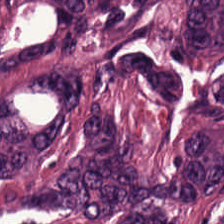Classification = colorectal adenocarcinoma epithelium.
